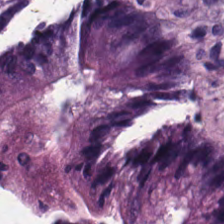Predominant tissue = benign colonic mucosa.
